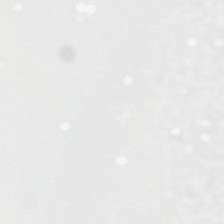H&E stain. Empty background.
